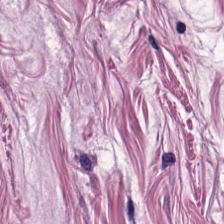Hematoxylin-and-eosin stained section.
Histology → muscularis.
